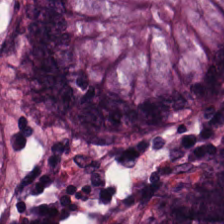H&E — Predominantly non-neoplastic colon mucosa.
